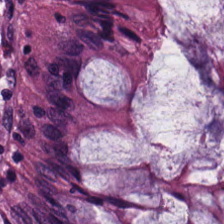Hematoxylin and eosin.
Tissue: non-neoplastic colon mucosa.
